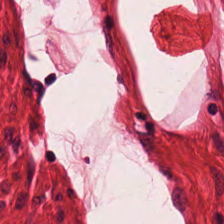Brightfield microscopy; H&E stain — {"tissue_type": "smooth-muscle tissue"}
